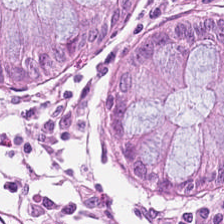Hematoxylin and eosin — Q: Identify the tissue.
A: The field shows normal colonic mucosa.
